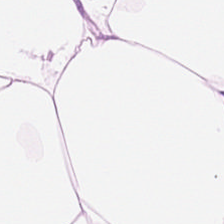H&E-stained tissue section showing adipocytes.
